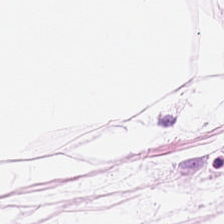224×224 px patch · H&E stain. Q: What tissue is shown?
A: The field shows fat tissue.
